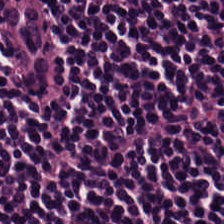H&E stain — Q: What type of tissue is this?
A: This is lymphoid infiltrate.
